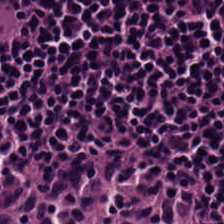0.5 µm per pixel · hematoxylin and eosin.
Predominant tissue — lymphocytic infiltrate.
